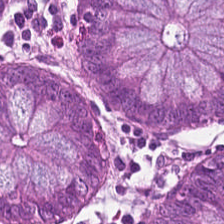Tissue type = benign colonic mucosa.
